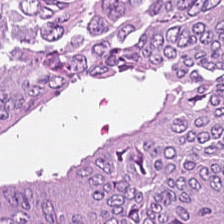Brightfield. Hematoxylin-and-eosin stained section. 20× equivalent magnification. Predominant tissue = colorectal adenocarcinoma epithelium.
